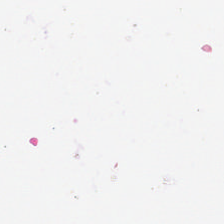Formalin-fixed paraffin-embedded section; brightfield; H&E-stained tissue section — Q: What is shown in this field?
A: It is no tissue.
